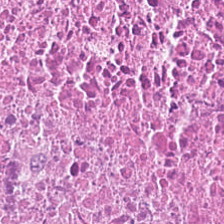H&E. 0.5 µm per pixel.
Q: What type of tissue is this?
A: This is necrotic debris.
